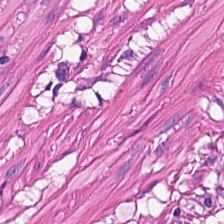Hematoxylin-and-eosin stained section. 224×224 pixel tile. Formalin-fixed paraffin-embedded section. Tissue type = smooth-muscle tissue.
